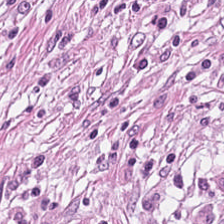The classification is desmoplastic stroma.
